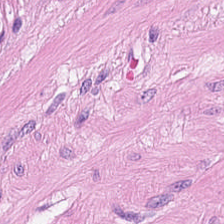Finding → muscularis.
